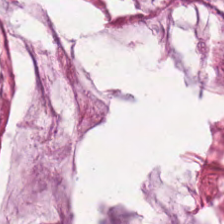0.5 µm/px; hematoxylin-and-eosin stained section; WSI patch. Impression — extracellular mucin.
